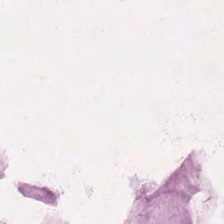H&E-stained tissue section.
{"tissue_type": "mucus"}
